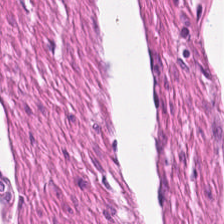Brightfield · H&E. This field is smooth muscle.
